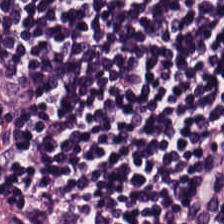H&E. Predominant tissue = lymphocytes.
